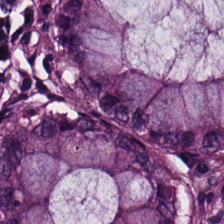{"tissue_type": "benign colonic mucosa"}
